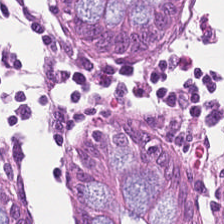Hematoxylin-and-eosin stained section — Q: Classify this patch.
A: The field shows normal colonic mucosa.
